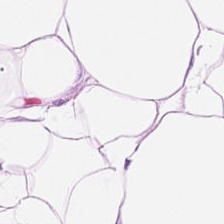Hematoxylin and eosin.
Classification — adipose.
